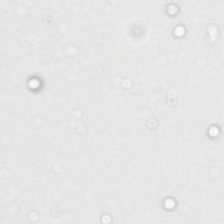0.5 microns per pixel; 224×224 px tile; H&E-stained tissue section.
The content is empty background.
